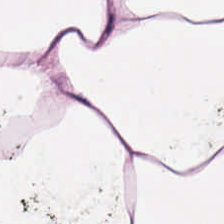20× equivalent magnification. Whole-slide-image patch. H&E stain. Histology → adipocytes.
